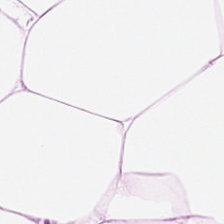Stain: hematoxylin-and-eosin stained section.
Classification: adipocytes.
